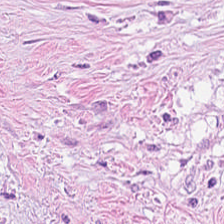Q: Identify the tissue.
A: The field shows desmoplastic stroma.
